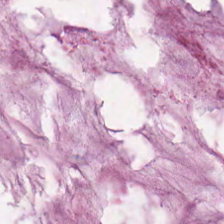Predominant tissue — mucus.
